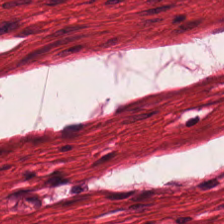Brightfield. H&E. Finding — muscularis.
